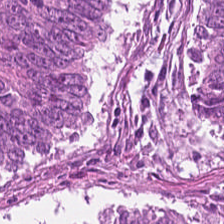H&E-stained section; the field shows tumor epithelium.
